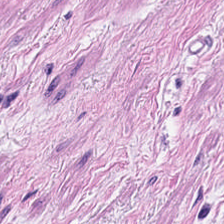H&E.
Q: What type of tissue is this?
A: This is smooth muscle.
